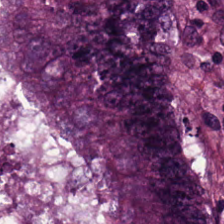H&E · WSI patch · 224×224 px tile.
The predominant tissue is colorectal adenocarcinoma.
